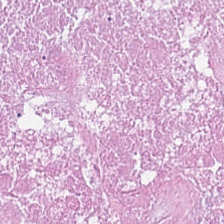0.5 microns per pixel · H&E-stained tissue section.
Classification = cellular debris.
